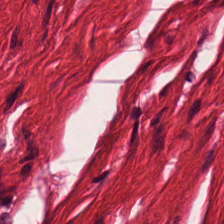0.5 µm per pixel · H&E stain.
The tissue here is smooth muscle.
